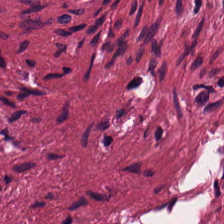Stain: H&E-stained tissue section.
Tissue: desmoplastic stroma.
